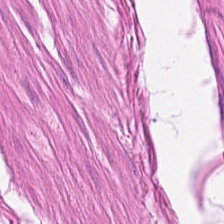Impression — smooth-muscle tissue.
